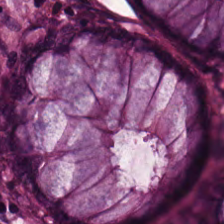Hematoxylin-and-eosin stained section · whole-slide-image patch. This patch shows normal colonic mucosa.
